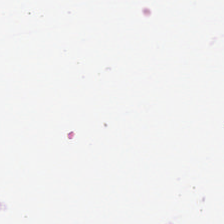H&E stain. Background — no tissue in this field.
